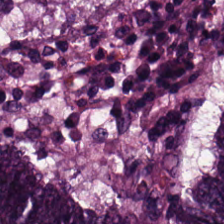Stain: H&E stain.
Tissue class: malignant epithelium.
